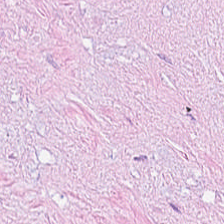H&E-stained tissue section. {"tissue_type": "tumor stroma"}
